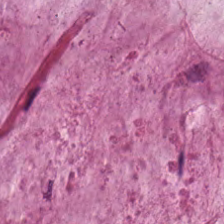224×224 pixel tile · H&E stain — Predominant tissue = mucin.
